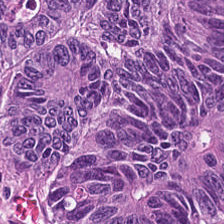H&E · 0.5 microns per pixel · 224×224 px tile. Showing colorectal adenocarcinoma.
